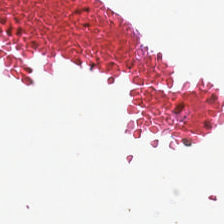H&E-stained tissue section · whole-slide-image patch.
Empty field — background (no tissue).
